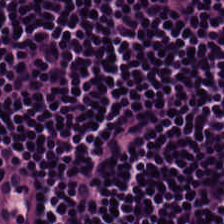H&E-stained tissue section. 224×224 pixel tile.
The predominant tissue is lymphoid infiltrate.
